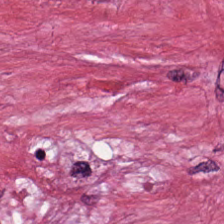Stain: hematoxylin-and-eosin stained section.
Tissue type: desmoplastic stroma.
